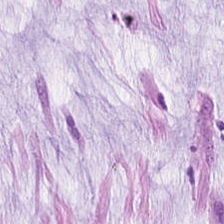Stain: H&E.
Tissue class: mucin.
